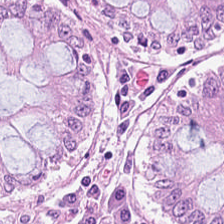Formalin-fixed paraffin-embedded section · H&E stain — The tissue here is normal colonic mucosa.
